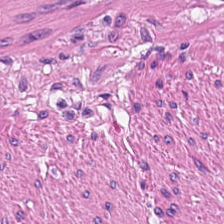FFPE; 224×224 px patch; H&E-stained tissue section — Finding → smooth muscle.
